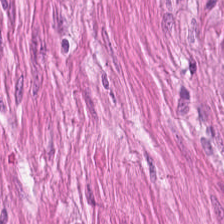Stain: H&E-stained tissue section.
Tissue class: muscularis.
